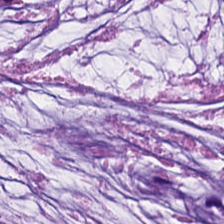Q: What is shown in this field?
A: Mucin.
